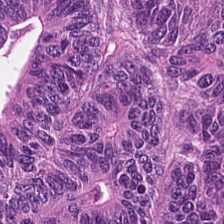Finding → tumor epithelium.
